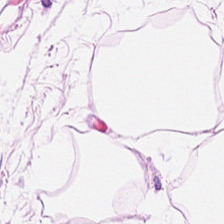Hematoxylin-and-eosin stained section. FFPE tissue section — The classification is adipose.
